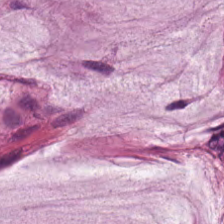H&E-stained tissue section; whole-slide-image patch.
Showing mucin.
